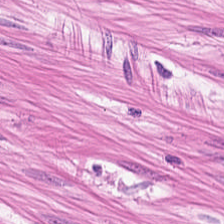H&E stain. Q: What does this patch show?
A: This is smooth muscle.
